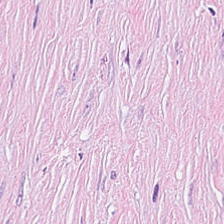Showing tumor stroma.
